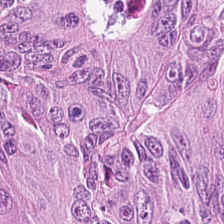Hematoxylin-and-eosin section: malignant epithelium.
